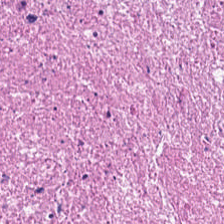H&E-stained tissue section. The tissue class is debris.
